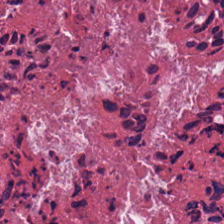H&E stain; FFPE tissue section — Showing debris.
